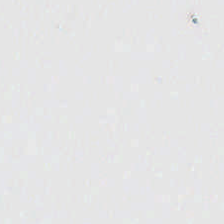H&E — No tissue.
